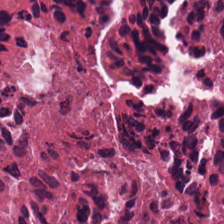H&E.
The tissue here is debris.
